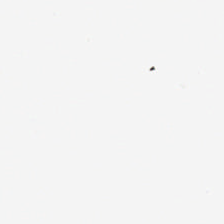0.5 µm per pixel; WSI patch; H&E-stained tissue section — Empty field — empty background.
